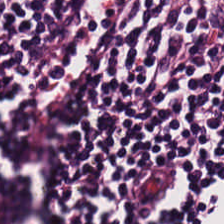Whole-slide-image patch; hematoxylin-and-eosin stained section. Q: What is the predominant tissue type?
A: The field shows lymphoid infiltrate.
